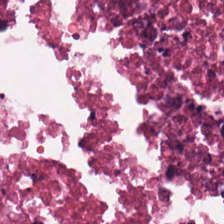H&E stain. This field is cellular debris.
